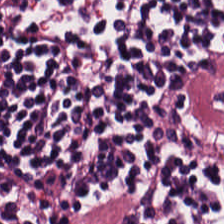H&E stain. 0.5 µm per pixel.
Tissue class — lymphocytes.
